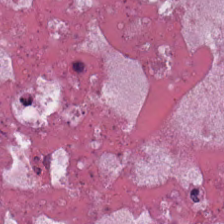Whole-slide-image patch. FFPE. H&E stain — Showing cellular debris.
